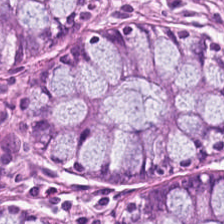H&E — Tissue class — benign colonic mucosa.
